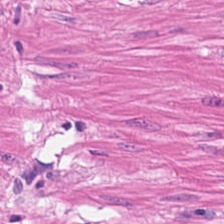H&E stain · 224×224 px patch · brightfield microscopy. The tissue is smooth muscle.
